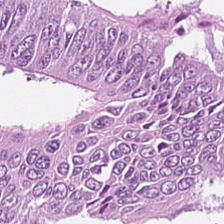H&E stain · 224×224 pixel tile — Predominantly colorectal adenocarcinoma epithelium.
